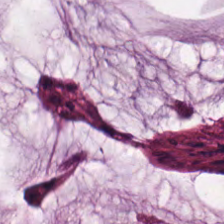Brightfield; H&E-stained tissue section.
Classification: mucus.
